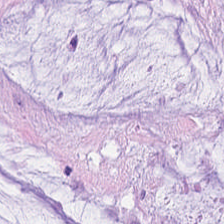Stain: H&E stain.
Tile size: 224×224 px tile.
Tissue type: extracellular mucin.
